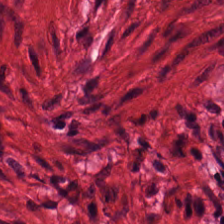H&E. FFPE tissue section.
Predominantly smooth-muscle tissue.
